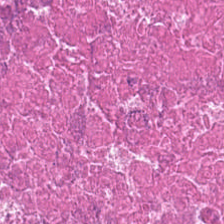The predominant tissue is necrotic debris.
